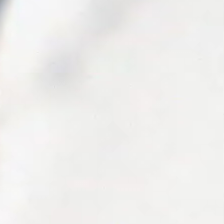H&E stain. This field is background (no tissue).
